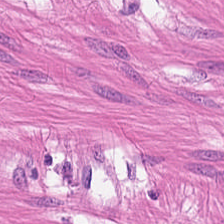H&E. Smooth muscle.
